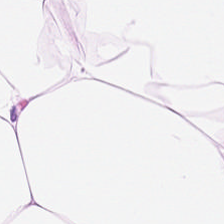H&E. Q: What does this patch show?
A: It is adipocytes.
